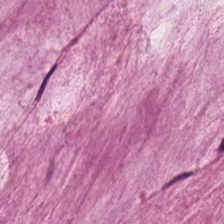Formalin-fixed paraffin-embedded section · 0.5 microns per pixel · hematoxylin and eosin.
Tissue class = mucin.
